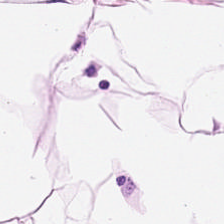Hematoxylin and eosin — Classification — fat tissue.
